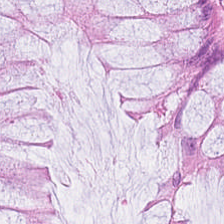Hematoxylin-and-eosin stained section.
This patch shows normal colonic mucosa.
